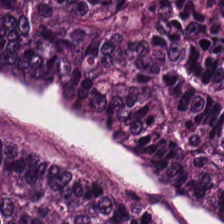H&E stain.
Q: What is shown here?
A: The field shows malignant epithelium.
